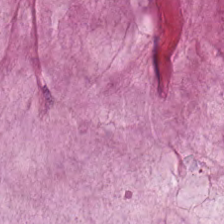H&E stain.
Classification — mucus.
